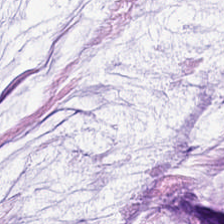20× equivalent magnification; H&E stain. Histology → mucin.
